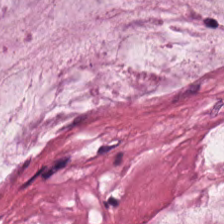H&E stain.
Tissue class = extracellular mucin.
